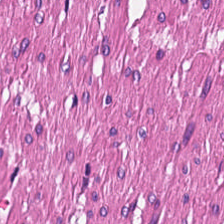H&E-stained tissue section. Impression → muscularis.
